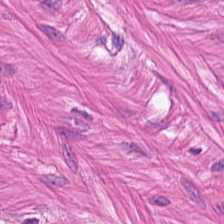Stain: hematoxylin-and-eosin stained section.
Tissue: smooth-muscle tissue.
